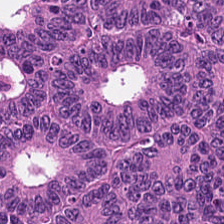Stain: H&E.
Predominant tissue: adenocarcinoma.
